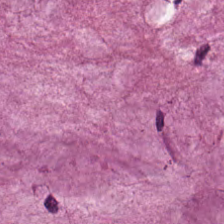H&E stain.
Q: What is shown here?
A: This is mucus.
